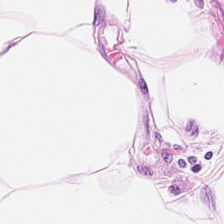224×224 pixel tile · WSI patch · hematoxylin-and-eosin stained section. Predominantly fat tissue.
